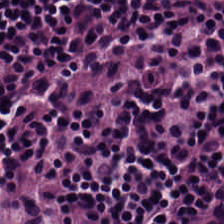Whole-slide-image patch. Hematoxylin and eosin.
Tissue = lymphocytic infiltrate.
